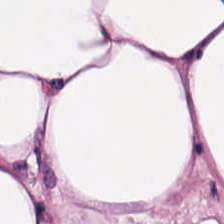H&E. 0.5 µm per pixel — Q: What is shown here?
A: The field shows adipocytes.
